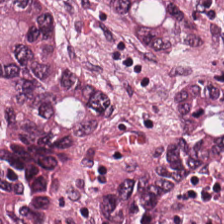Classification: tumor epithelium.
